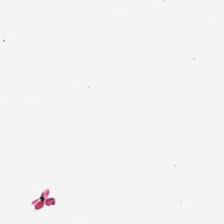Hematoxylin and eosin. This patch shows background (no tissue).
